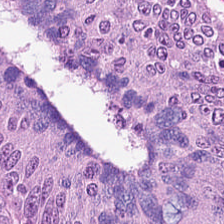Classification — adenocarcinoma.
